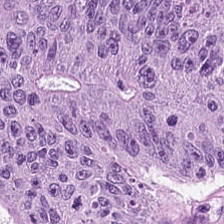0.5 µm per pixel · 224×224 pixel tile · hematoxylin-and-eosin stained section.
Q: What does this patch show?
A: This is malignant epithelium.
